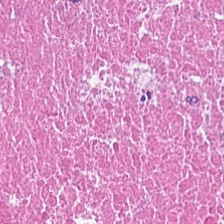Brightfield; 20× equivalent magnification; H&E-stained tissue section.
The classification is debris.
